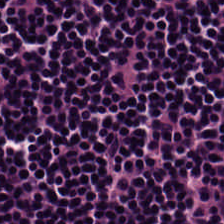Stain: hematoxylin-and-eosin stained section.
Resolution: 20× equivalent magnification.
Acquisition: brightfield microscopy.
Tissue class: lymphoid infiltrate.
